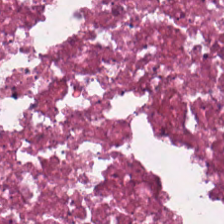Showing debris.
